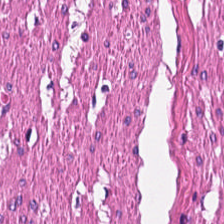Stain: hematoxylin-and-eosin stained section.
Tile size: 224×224 px tile.
Predominant tissue: muscularis.
